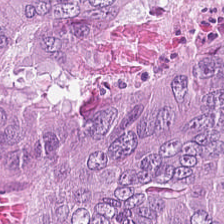H&E — Showing adenocarcinoma.
